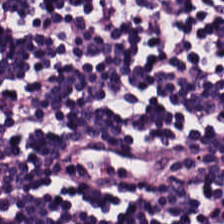Tissue class: lymphoid infiltrate.
